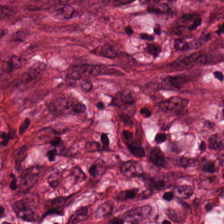H&E-stained tissue section. Tissue type — tumor stroma.
